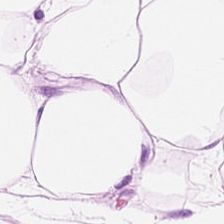Hematoxylin and eosin — This patch shows adipose tissue.
